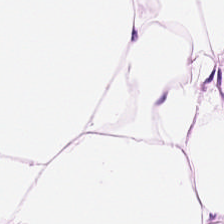Hematoxylin-and-eosin stained section.
The tissue here is adipose.
